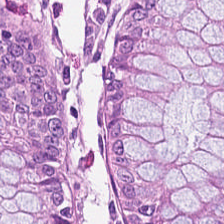H&E stain · 0.5 µm/px.
This field is non-neoplastic colon mucosa.
